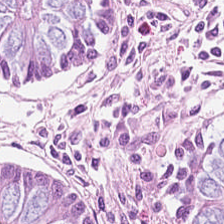Q: What type of tissue is this?
A: It is normal colonic mucosa.
